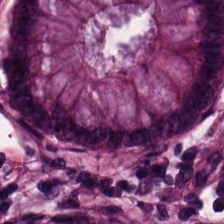H&E-stained section; the field shows benign colonic mucosa.
